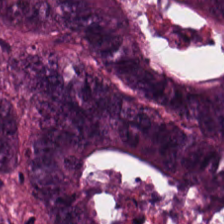H&E; FFPE tissue section — Tissue class: colorectal adenocarcinoma.
